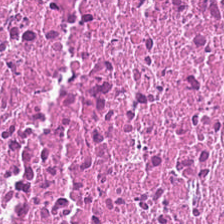H&E stain.
Q: What is shown in this field?
A: The field shows necrotic debris.
